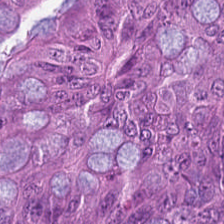Tumor epithelium.
